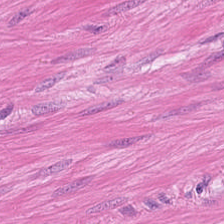H&E stain; FFPE; 0.5 µm per pixel. Smooth muscle.
